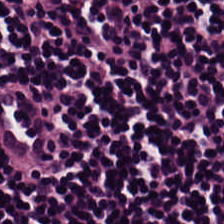H&E stain.
Q: What type of tissue is this?
A: It is lymphocytes.
